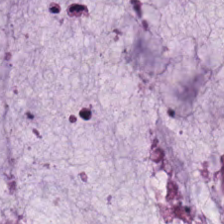FFPE tissue section; brightfield microscopy; hematoxylin and eosin.
{"tissue_type": "mucus"}
